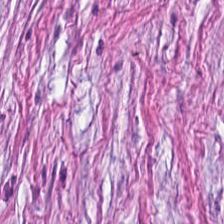Hematoxylin-and-eosin stained section — The predominant tissue is desmoplastic stroma.
